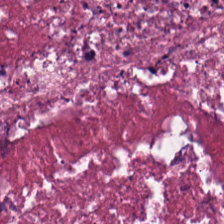H&E-stained tissue section.
Classification: necrotic debris.
